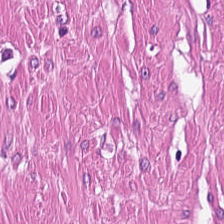H&E patch showing smooth-muscle tissue.
